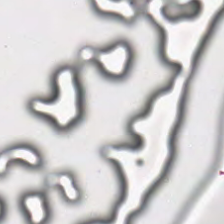H&E. WSI patch. 224×224 px tile.
The field content is background (no tissue).
